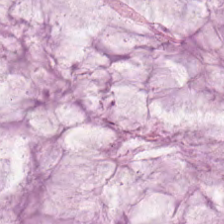Brightfield microscopy; H&E.
Showing mucin.
